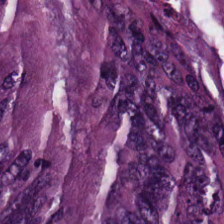224×224 pixel tile · whole-slide-image patch · H&E-stained tissue section — Classification: tumor epithelium.
